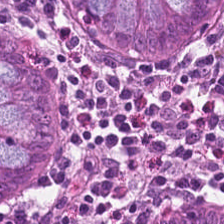224×224 px patch; 0.5 µm/px; H&E-stained tissue section — Predominant tissue = benign colonic mucosa.
